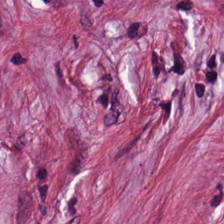Hematoxylin and eosin.
Tumor-associated stroma.
